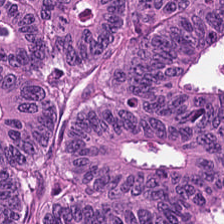Stain: H&E.
Tissue class: colorectal adenocarcinoma.
